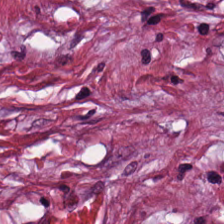H&E-stained tissue section. This patch shows tumor-associated stroma.
